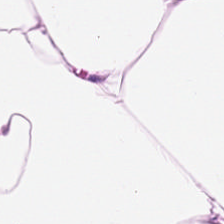H&E. Whole-slide-image patch. 224×224 px tile. Q: What tissue is shown?
A: The field shows adipose tissue.
